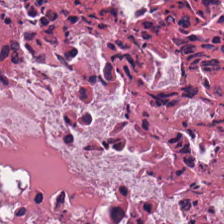Brightfield · hematoxylin and eosin · 0.5 microns per pixel. Tissue class: debris.
